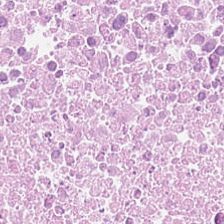Hematoxylin and eosin.
Debris.
